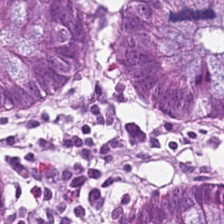Hematoxylin-and-eosin stained section. Formalin-fixed paraffin-embedded section. This patch shows non-neoplastic colon mucosa.
